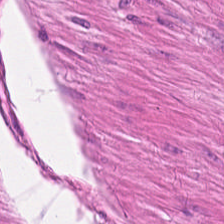Stain: H&E.
Tile size: 224×224 px tile.
Tissue: smooth-muscle tissue.
